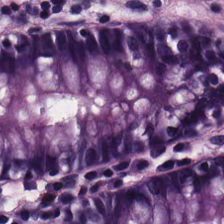H&E — Histology — benign colonic mucosa.
